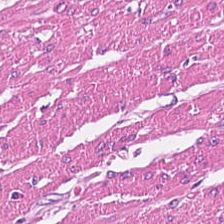The predominant tissue is smooth muscle.
